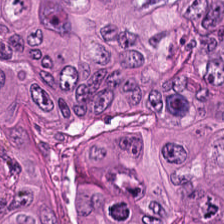H&E stain — Showing colorectal adenocarcinoma epithelium.
